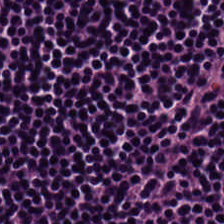Stain: H&E stain.
Resolution: 20× equivalent magnification.
Classification: lymphoid infiltrate.
